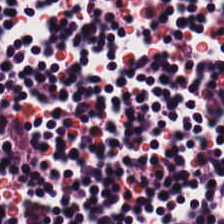H&E-stained tissue section — Predominantly lymphoid infiltrate.
